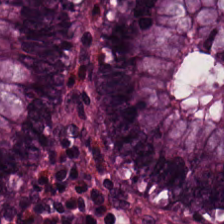Hematoxylin-and-eosin stained section.
The tissue here is non-neoplastic colon mucosa.
